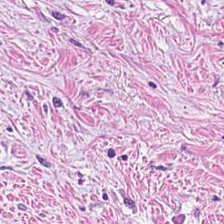H&E stain — This field is cancer-associated stroma.
